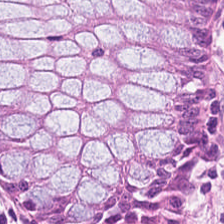Finding — non-neoplastic colon mucosa.
